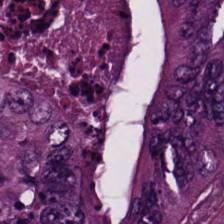H&E-stained section; the field shows colorectal adenocarcinoma epithelium.
